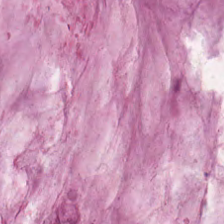Hematoxylin and eosin · FFPE — Q: Classify this patch.
A: Extracellular mucin.
